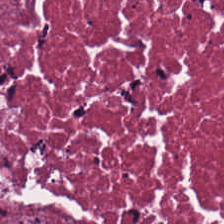Hematoxylin and eosin. WSI patch. 224×224 px patch.
This field is debris.
